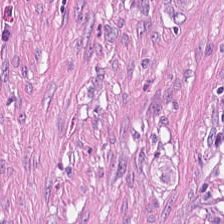Hematoxylin and eosin · whole-slide-image patch · 0.5 µm per pixel. The tissue is tumor-associated stroma.
